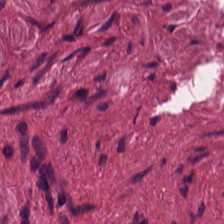This field is cancer-associated stroma.
